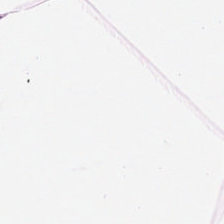224×224 px tile; hematoxylin-and-eosin stained section. The tissue is adipose.
